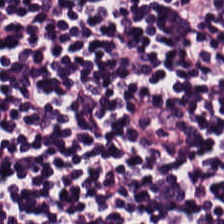Whole-slide-image patch · 20× equivalent magnification · H&E stain — Classification — lymphocytic infiltrate.
